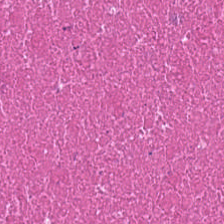H&E.
The predominant tissue is debris.
